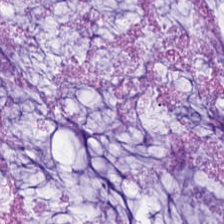Hematoxylin-and-eosin stained section; 224×224 px tile.
Showing extracellular mucin.
